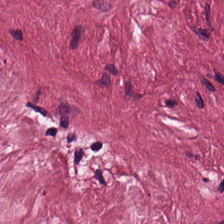0.5 microns per pixel; hematoxylin and eosin; 224×224 px patch — Histology — tumor-associated stroma.
